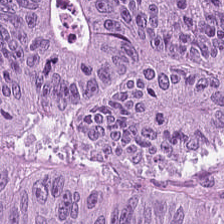H&E stain.
The tissue class is adenocarcinoma.
